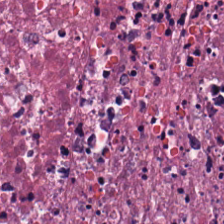H&E stain; 224×224 px patch; 0.5 microns per pixel. The predominant tissue is cellular debris.
